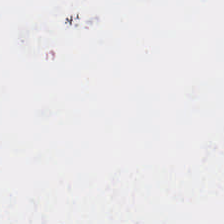H&E stain. 224×224 px tile — This field is background (no tissue).
